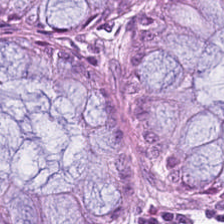Brightfield microscopy · H&E stain.
The predominant tissue is non-neoplastic colon mucosa.
